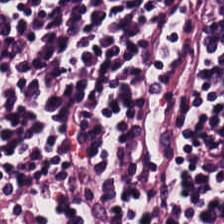Formalin-fixed paraffin-embedded section. Whole-slide-image patch. H&E. Q: What is the predominant tissue type?
A: It is lymphocytic infiltrate.
